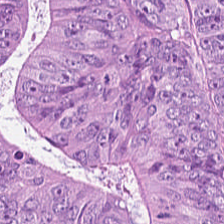Tissue: colorectal adenocarcinoma epithelium.
